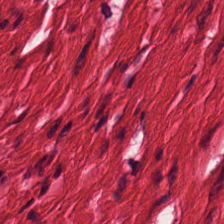H&E. Histology → muscularis.
